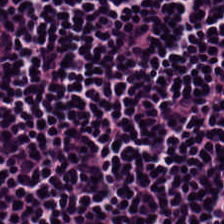Hematoxylin and eosin; 0.5 µm/px. This field is lymphocytic infiltrate.
